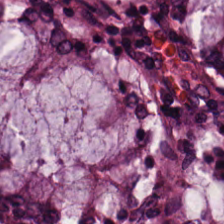H&E. 224×224 px tile.
Classification: benign colonic mucosa.
